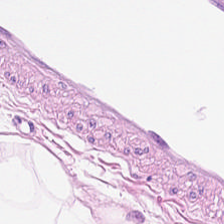H&E-stained tissue section.
Tissue class = adipocytes.
